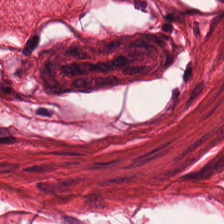Stain: hematoxylin-and-eosin stained section.
Preparation: formalin-fixed paraffin-embedded section.
Acquisition: WSI patch.
Tissue type: smooth-muscle tissue.
